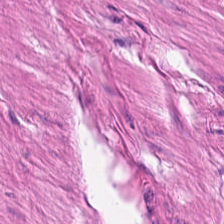H&E; 224×224 px patch; 0.5 µm per pixel.
Predominant tissue: muscularis.
